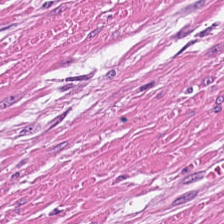Hematoxylin and eosin — This field is smooth-muscle tissue.
